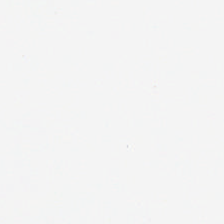0.5 microns per pixel · H&E-stained tissue section. No tissue present; background only.
